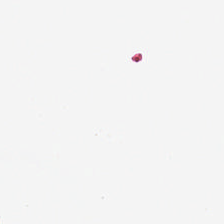Hematoxylin and eosin — Finding → empty background.
